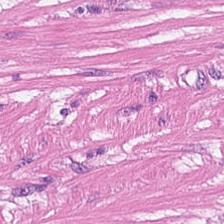Brightfield microscopy · hematoxylin-and-eosin stained section.
Tissue type = smooth-muscle tissue.
